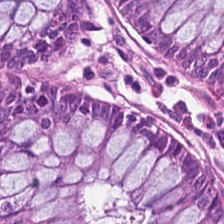{"tissue_type": "normal colon mucosa"}
